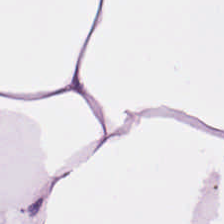Hematoxylin and eosin — The tissue type is adipose tissue.
